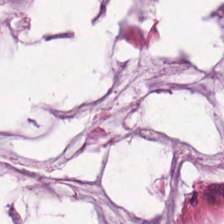Brightfield microscopy; H&E-stained tissue section.
Q: Identify the tissue.
A: This is extracellular mucin.
